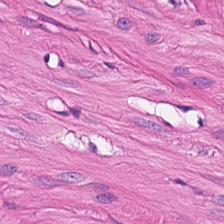H&E-stained tissue section. Histology — muscularis.
